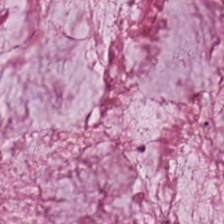Stain: hematoxylin-and-eosin stained section.
Predominant tissue: extracellular mucin.
